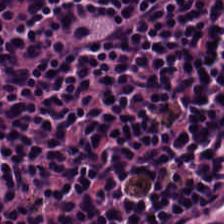Stain: H&E-stained tissue section.
Tissue type: lymphoid infiltrate.
